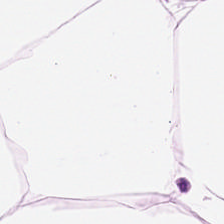H&E-stained tissue section. The predominant tissue is fat tissue.
